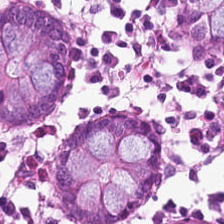H&E-stained tissue section · whole-slide-image patch — This field is benign colonic mucosa.
